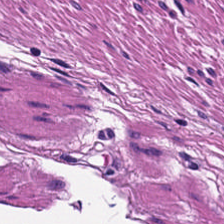Formalin-fixed paraffin-embedded section. H&E stain — Tissue type = muscularis.
